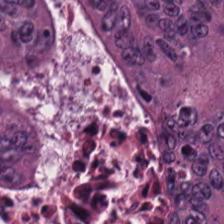Formalin-fixed paraffin-embedded section · H&E.
Predominantly malignant epithelium.
